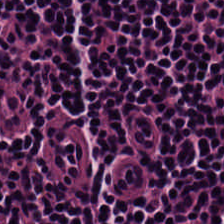H&E-stained tissue section.
Impression → lymphocyte aggregate.
